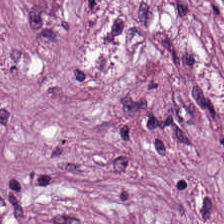The tissue is tumor stroma.
